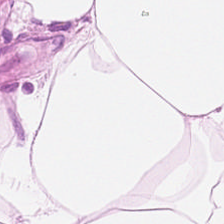H&E · 0.5 µm per pixel. The tissue is adipose tissue.
